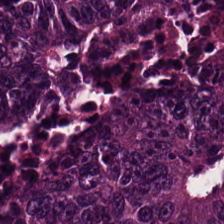Q: Identify the tissue.
A: This is adenocarcinoma.
